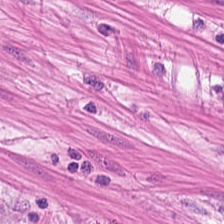Histology → smooth-muscle tissue.
